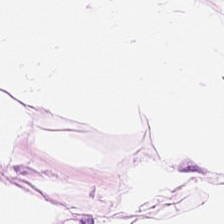Hematoxylin-and-eosin stained section. {"tissue_type": "adipose tissue"}
